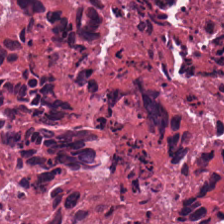Stain: H&E.
Tile size: 224×224 px patch.
Acquisition: brightfield.
Tissue: debris.
